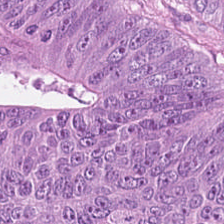Hematoxylin-and-eosin stained section · FFPE tissue section — Predominantly colorectal adenocarcinoma epithelium.
